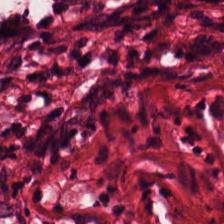H&E; whole-slide-image patch. The tissue here is tumor-associated stroma.
